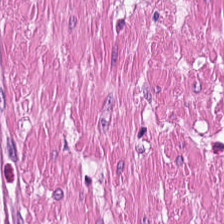Stain: H&E.
Tissue class: muscularis.
